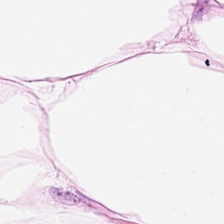H&E stain.
Q: Identify the tissue.
A: The field shows adipocytes.
